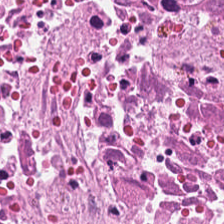20× equivalent magnification; whole-slide-image patch; hematoxylin and eosin. Showing cellular debris.
